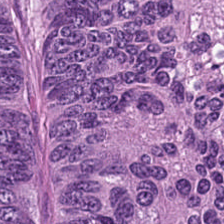H&E.
Finding — tumor epithelium.
